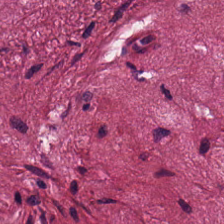Q: What tissue type is shown here?
A: The field shows tumor-associated stroma.
